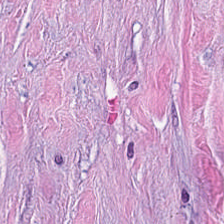Brightfield; hematoxylin-and-eosin stained section — {"tissue_type": "cancer-associated stroma"}
